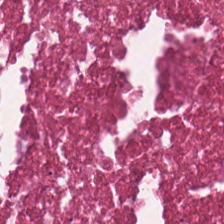Stain: H&E stain.
Tissue type: necrotic debris.
